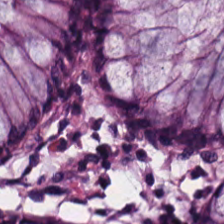H&E-stained tissue section. 224×224 px patch. 0.5 µm/px — Tissue: normal colonic mucosa.
